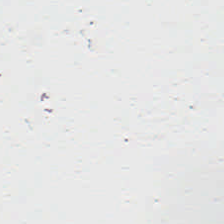H&E stain — Empty field — background.
